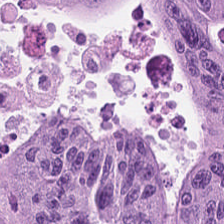Q: What tissue is shown?
A: Malignant epithelium.
